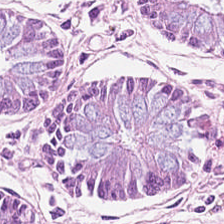Tissue class — benign colonic mucosa.
